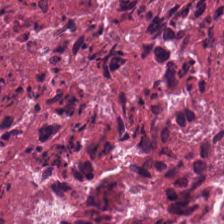Whole-slide-image patch; H&E-stained tissue section; 0.5 microns per pixel.
Finding → cellular debris.
